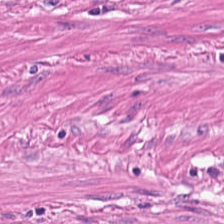H&E-stained tissue section; FFPE tissue section; WSI patch.
Smooth muscle.
